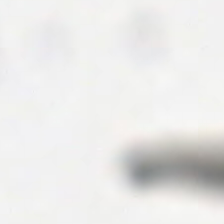H&E stain. This patch shows background (no tissue).
